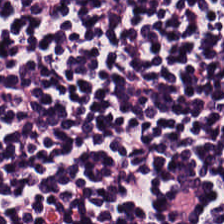This field is lymphocyte aggregate.
